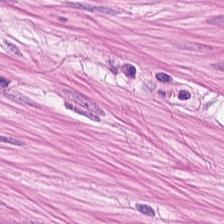0.5 µm per pixel · hematoxylin-and-eosin stained section — {"tissue_type": "smooth muscle"}
